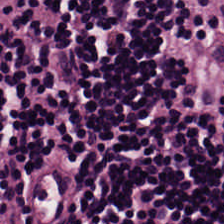FFPE tissue section · H&E-stained tissue section · 20× equivalent magnification.
{"tissue_type": "lymphocytic infiltrate"}
